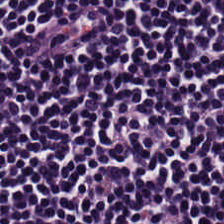FFPE tissue section; hematoxylin-and-eosin stained section; WSI patch. The tissue here is lymphocyte aggregate.
